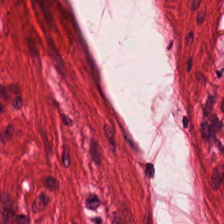Formalin-fixed paraffin-embedded section. H&E. 0.5 µm/px.
Muscularis.
